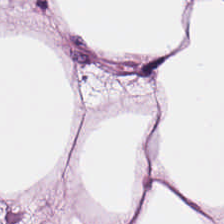H&E-stained tissue section. 0.5 µm/px. Adipose tissue.
